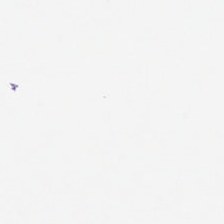Hematoxylin and eosin. This patch shows no tissue.
